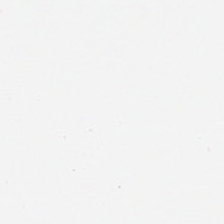Stain: H&E.
Tile size: 224×224 px tile.
Classification: background.
